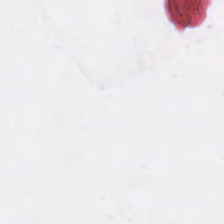20× equivalent magnification · hematoxylin and eosin · FFPE tissue section.
This patch shows no tissue.
